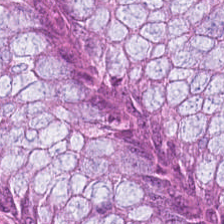{"tissue_type": "non-neoplastic colon mucosa"}
